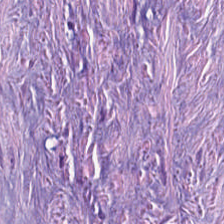Brightfield microscopy · 224×224 px patch · hematoxylin and eosin. The tissue here is tumor-associated stroma.
